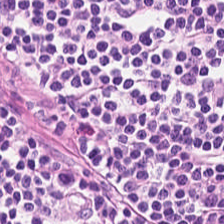Q: What does this patch show?
A: The field shows lymphoid infiltrate.
